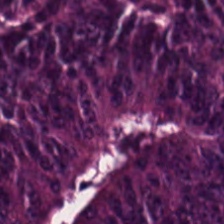H&E stain. Showing tumor epithelium.
